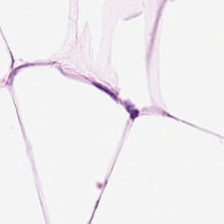Stain: hematoxylin-and-eosin stained section.
Tissue: adipose.
